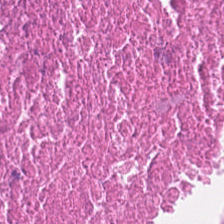H&E — Cellular debris.
